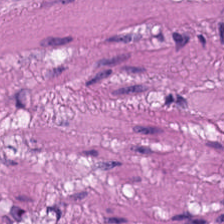H&E-stained tissue section — Q: Identify the tissue.
A: Smooth muscle.
